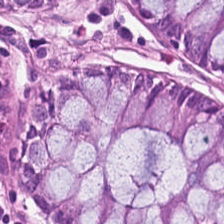H&E-stained tissue section; brightfield microscopy.
Histology — normal colonic mucosa.
